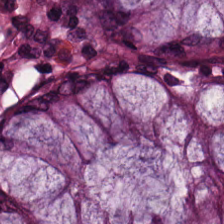Hematoxylin and eosin.
This patch shows non-neoplastic colon mucosa.
